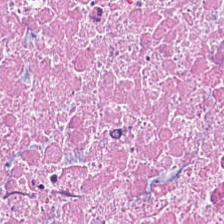Stain: H&E.
Resolution: 0.5 µm/px.
Tissue class: debris.
